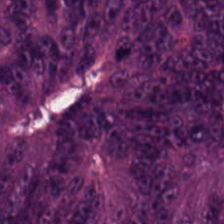This patch shows tumor epithelium.
